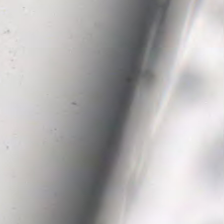Stain: hematoxylin-and-eosin stained section.
Preparation: formalin-fixed paraffin-embedded section.
Field content: no tissue.
